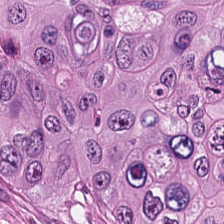H&E — Tissue class = adenocarcinoma.
